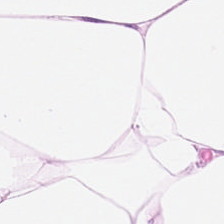H&E-stained tissue section; whole-slide-image patch — Q: What does this patch show?
A: This is adipose.
